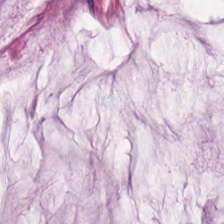H&E-stained tissue section. 0.5 µm/px — Classification — mucus.
